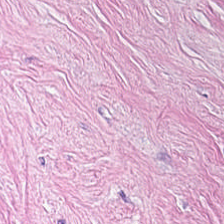FFPE. Hematoxylin and eosin. The tissue here is tumor-associated stroma.
